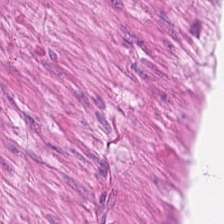Brightfield · H&E-stained tissue section — Showing smooth-muscle tissue.
